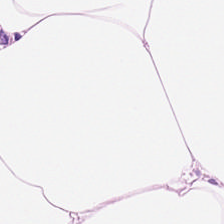{"tissue_type": "adipocytes"}
